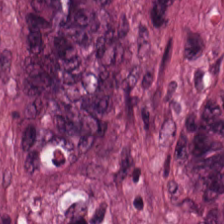Stain: hematoxylin and eosin.
Acquisition: brightfield.
Predominant tissue: malignant epithelium.
